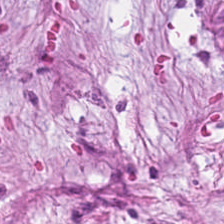H&E stain — Predominantly cancer-associated stroma.
